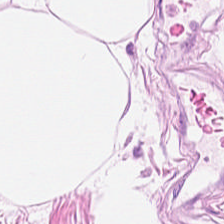Hematoxylin-and-eosin stained section. Brightfield — Predominantly adipocytes.
